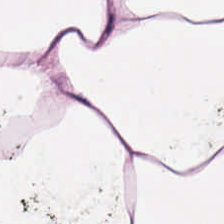Q: What tissue is shown?
A: The field shows adipose.
